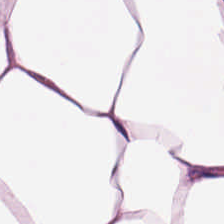H&E stain.
This patch shows adipose.
